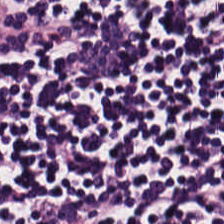Impression → lymphocytic infiltrate.
